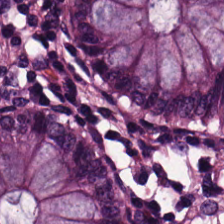224×224 px tile · hematoxylin-and-eosin stained section · 0.5 µm per pixel — This field is normal colonic mucosa.
